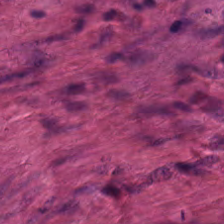Hematoxylin and eosin — Impression → smooth-muscle tissue.
